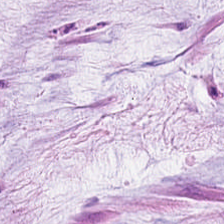Stain: H&E.
Tile size: 224×224 pixel tile.
Predominant tissue: mucus.
